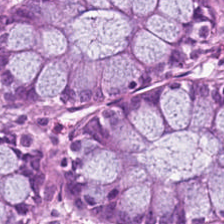Tissue class — benign colonic mucosa.
